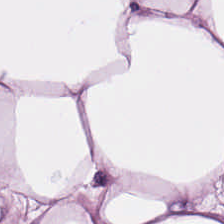H&E-stained tissue section. Tissue — adipose tissue.
